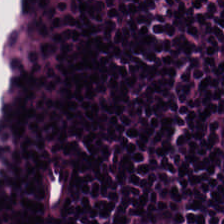Stain: H&E-stained tissue section.
Classification: lymphocyte aggregate.
